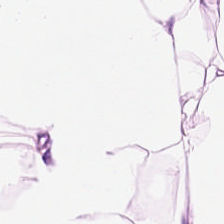Impression — adipocytes.
